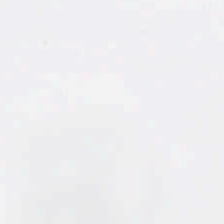224×224 pixel tile · hematoxylin-and-eosin stained section — Background.
